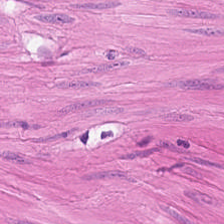Classification — smooth-muscle tissue.
